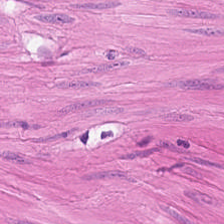Classification — smooth-muscle tissue.
